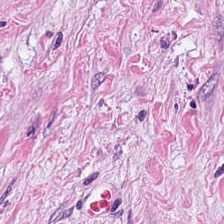Hematoxylin-and-eosin stained section; FFPE tissue section — Predominant tissue: tumor-associated stroma.
